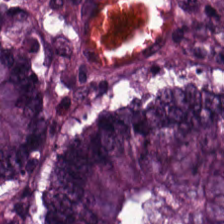Histology → colorectal adenocarcinoma epithelium.
